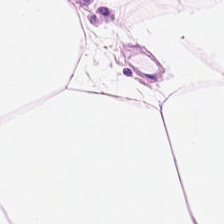Hematoxylin-and-eosin stained section; brightfield. The classification is adipose.
